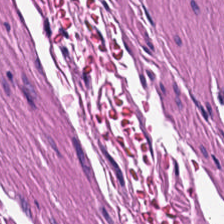FFPE. Hematoxylin and eosin. Q: Classify this patch.
A: This is smooth-muscle tissue.
